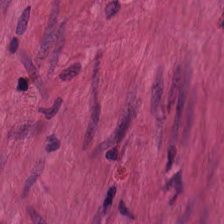Stain: H&E.
Classification: smooth-muscle tissue.
